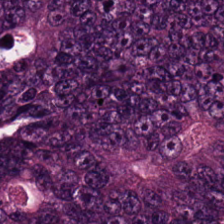224×224 px tile · H&E-stained tissue section — This field is colorectal adenocarcinoma.
